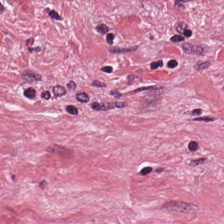H&E stain; 0.5 microns per pixel. Q: What tissue type is shown here?
A: The field shows tumor stroma.
